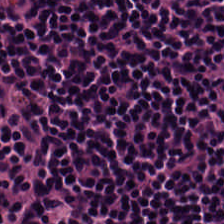Hematoxylin and eosin. Histology — lymphoid infiltrate.
